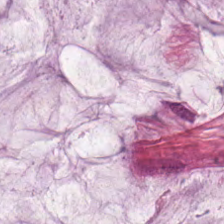Q: What tissue type is shown here?
A: Extracellular mucin.
